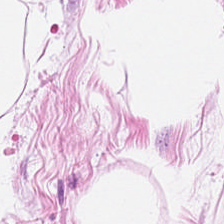Tissue = fat tissue.
